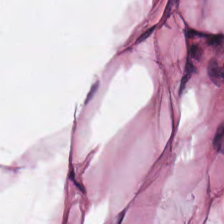Whole-slide-image patch. Hematoxylin and eosin.
Tissue — adipose.
